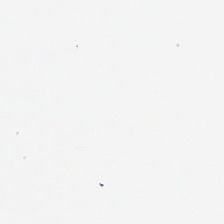The classification is empty background.
